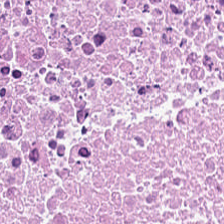Q: Classify this patch.
A: Necrotic debris.
